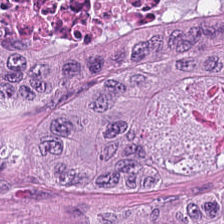Stain: H&E.
Tissue type: tumor epithelium.
